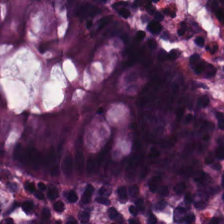H&E-stained tissue section.
The predominant tissue is normal colonic mucosa.
